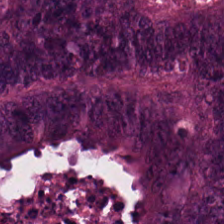Stain: hematoxylin and eosin.
Tile size: 224×224 px tile.
Preparation: FFPE.
Predominant tissue: tumor epithelium.
